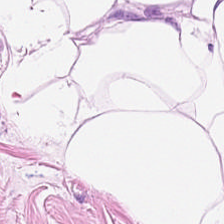Predominant tissue: adipose.
